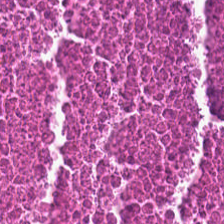H&E stain — This field is cellular debris.
